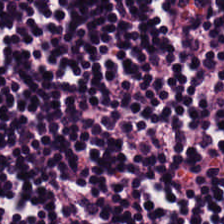Hematoxylin-and-eosin stained section. Predominantly lymphocyte aggregate.
